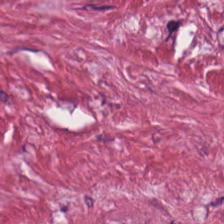H&E stain — Finding — tumor stroma.
